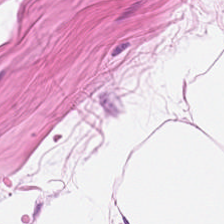H&E; 0.5 microns per pixel; brightfield microscopy — {"tissue_type": "adipose"}
